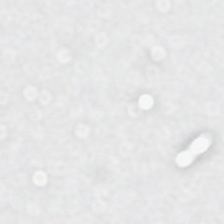H&E stain.
This patch shows background.
